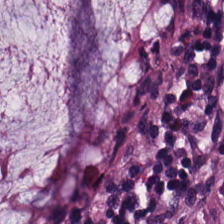This field is non-neoplastic colon mucosa.
